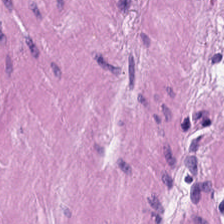Hematoxylin-and-eosin stained section. This field is smooth muscle.
